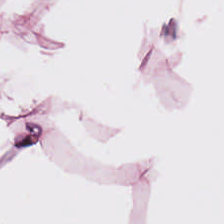H&E-stained tissue section — Q: What tissue type is shown here?
A: The field shows adipose.
